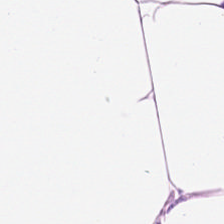H&E stain · whole-slide-image patch. Finding — fat tissue.
